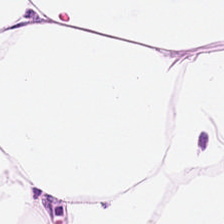224×224 pixel tile · H&E-stained tissue section · brightfield.
This field is fat tissue.
